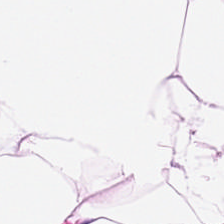This field is fat tissue.
